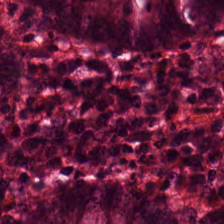H&E-stained tissue section. Formalin-fixed paraffin-embedded section. 20× equivalent magnification.
This patch shows non-neoplastic colon mucosa.
